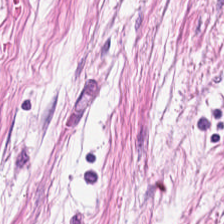H&E.
Q: What is shown in this field?
A: The field shows desmoplastic stroma.
